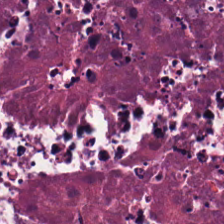H&E stain; brightfield; 0.5 µm/px. The tissue is cellular debris.
